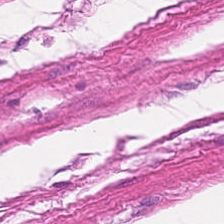H&E stain · formalin-fixed paraffin-embedded section — This patch shows smooth-muscle tissue.
